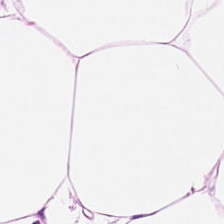WSI patch · H&E · 224×224 pixel tile.
Predominantly adipocytes.
